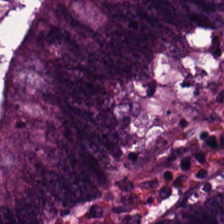H&E. FFPE tissue section. Finding → adenocarcinoma.
